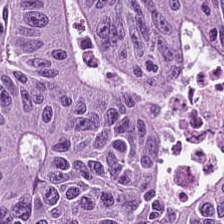Formalin-fixed paraffin-embedded section; H&E. The tissue here is tumor epithelium.
